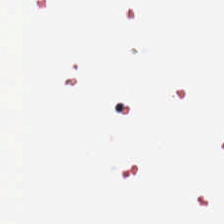H&E. Background — no tissue in this field.
